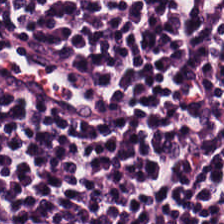Stain: hematoxylin and eosin.
Classification: lymphocytic infiltrate.
